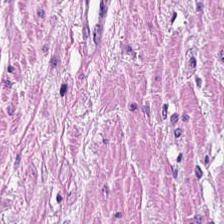{"tissue_type": "muscularis"}
